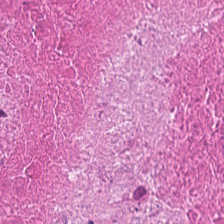224×224 px tile. H&E stain.
Predominant tissue: debris.
